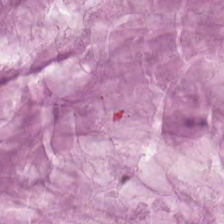Hematoxylin and eosin — Histology → extracellular mucin.
